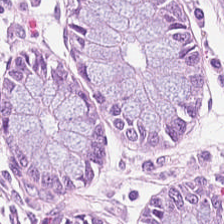Hematoxylin-and-eosin stained section. This patch shows non-neoplastic colon mucosa.
